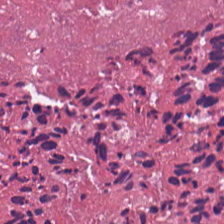Hematoxylin and eosin — Predominantly cellular debris.
